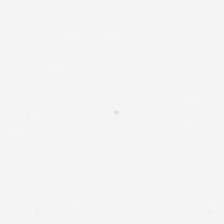Q: What does this patch show?
A: It is empty background.
